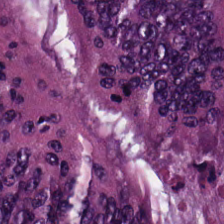H&E stain; FFPE.
Q: Classify this patch.
A: Malignant epithelium.
